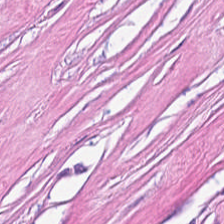Hematoxylin and eosin. The predominant tissue is desmoplastic stroma.
